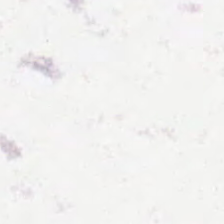Hematoxylin and eosin; whole-slide-image patch — {"content": "empty background"}
